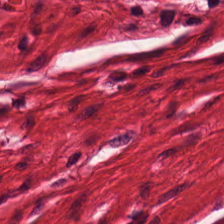Hematoxylin and eosin; 224×224 pixel tile.
This field is smooth muscle.
